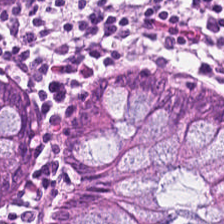Hematoxylin-and-eosin stained section — Q: What is the predominant tissue type?
A: The field shows normal colon mucosa.
